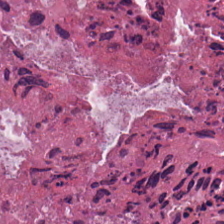H&E-stained tissue section · brightfield. Predominantly necrotic debris.
